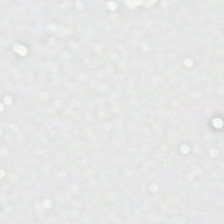Stain: H&E stain.
Preparation: FFPE tissue section.
Tile size: 224×224 px tile.
Content: no tissue.
